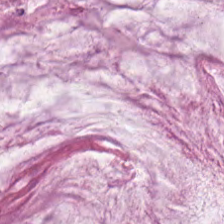Stain: hematoxylin-and-eosin stained section.
Resolution: 0.5 microns per pixel.
Tissue type: mucus.
